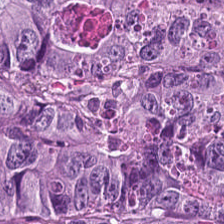0.5 µm per pixel · hematoxylin-and-eosin stained section · 224×224 px patch — Impression — colorectal adenocarcinoma epithelium.
